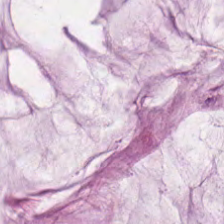Hematoxylin and eosin · brightfield. Mucin.
